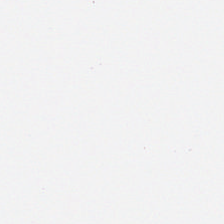224×224 pixel tile · H&E stain.
Q: What is shown in this field?
A: It is background.
